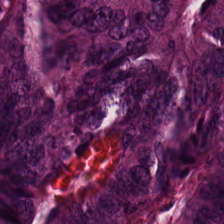H&E patch showing colorectal adenocarcinoma epithelium.
